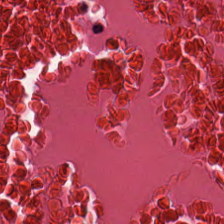Hematoxylin and eosin — Tissue: cellular debris.
